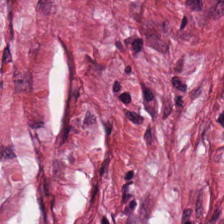H&E-stained tissue section.
Predominant tissue: tumor stroma.
